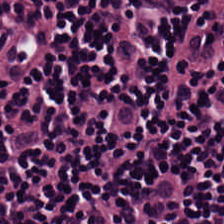0.5 µm per pixel; formalin-fixed paraffin-embedded section; H&E stain.
Tissue — lymphocytes.
